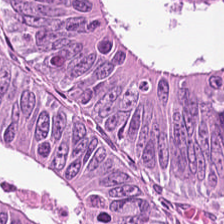20× equivalent magnification; 224×224 pixel tile; hematoxylin-and-eosin stained section — Tissue class = colorectal adenocarcinoma epithelium.
